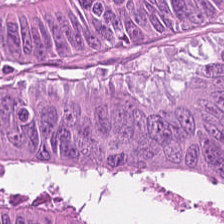Hematoxylin-and-eosin stained section; whole-slide-image patch — This field is adenocarcinoma.
